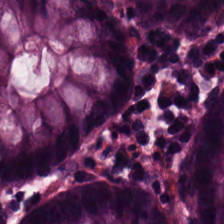H&E stain — The tissue here is non-neoplastic colon mucosa.
